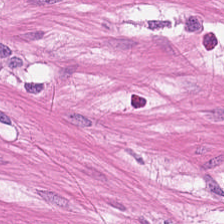H&E-stained tissue section. Finding → muscularis.
